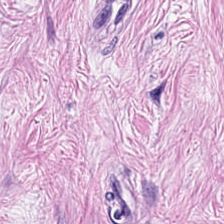H&E-stained section; the field shows tumor stroma.
